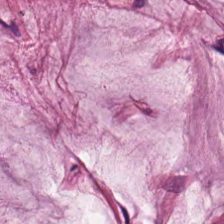Stain: H&E stain.
Tissue type: mucus.
